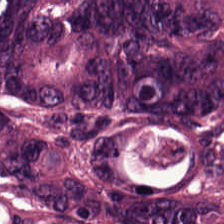0.5 µm per pixel. H&E stain — The tissue type is tumor epithelium.
